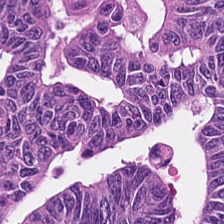0.5 microns per pixel. Hematoxylin-and-eosin stained section. Tissue type — colorectal adenocarcinoma epithelium.
